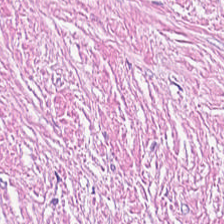Hematoxylin and eosin. Showing tumor-associated stroma.
